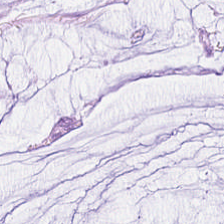Whole-slide-image patch. H&E-stained tissue section.
The tissue is mucin.
